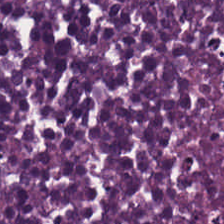Stain: hematoxylin and eosin.
Tissue type: debris.
